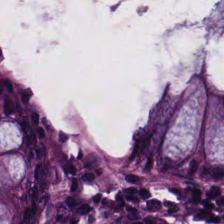H&E stain; FFPE tissue section — Predominant tissue — normal colonic mucosa.
